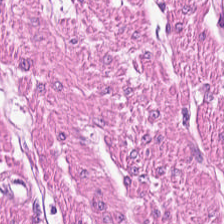FFPE tissue section; hematoxylin-and-eosin stained section; 224×224 px tile.
Showing muscularis.
